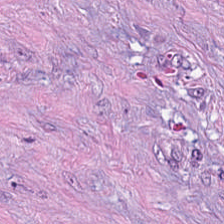Hematoxylin and eosin; 224×224 px patch. Classification: tumor-associated stroma.
